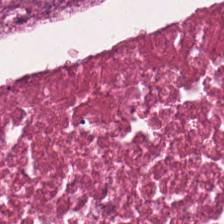H&E; 224×224 px patch.
{"tissue_type": "debris"}
